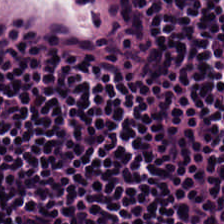Hematoxylin and eosin; FFPE.
Q: What type of tissue is this?
A: The field shows lymphocyte aggregate.
